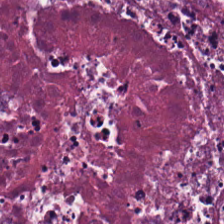H&E-stained tissue section — This field is necrotic debris.
